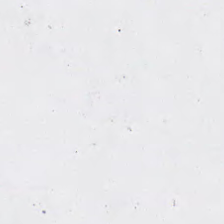Empty field — no tissue.
